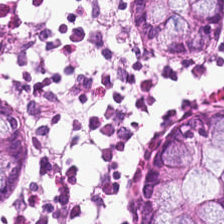H&E; WSI patch. The classification is normal colon mucosa.
